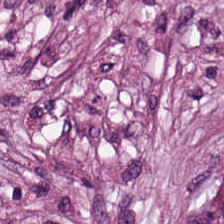The tissue class is desmoplastic stroma.
